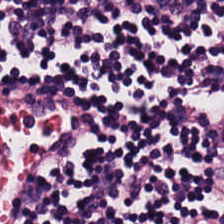WSI patch; 0.5 µm per pixel; H&E.
Q: What is the predominant tissue type?
A: It is lymphoid infiltrate.
